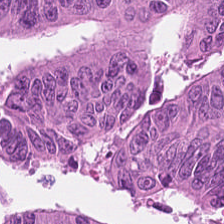Formalin-fixed paraffin-embedded section · brightfield · H&E-stained tissue section — Predominantly malignant epithelium.
